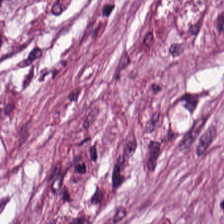Hematoxylin and eosin — This field is tumor stroma.
